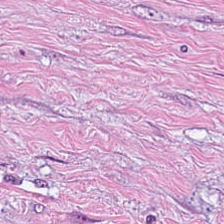Formalin-fixed paraffin-embedded section. Hematoxylin and eosin.
This field is tumor-associated stroma.
